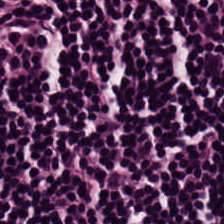H&E.
Q: Classify this patch.
A: It is lymphocytes.
